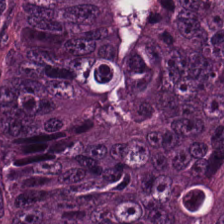Hematoxylin and eosin.
Predominantly adenocarcinoma.
